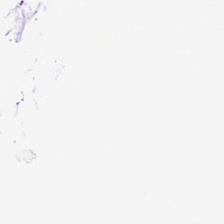Whole-slide-image patch. Hematoxylin-and-eosin stained section. Q: What does this patch show?
A: This is empty background.
